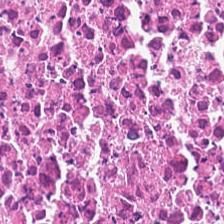The classification is cellular debris.
